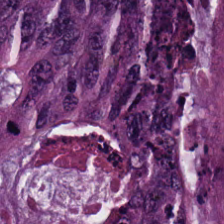Whole-slide-image patch; hematoxylin-and-eosin stained section. Histology — tumor epithelium.
